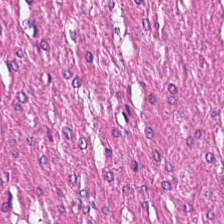Hematoxylin and eosin · 224×224 pixel tile.
This patch shows smooth muscle.
